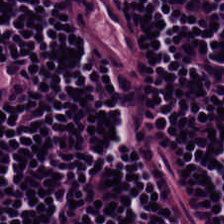Tissue type = lymphocytic infiltrate.
